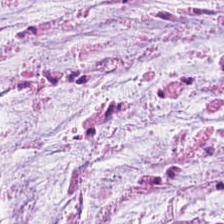0.5 microns per pixel. H&E stain — Showing mucus.
